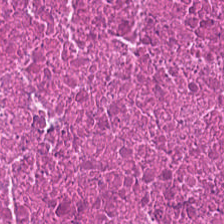Hematoxylin and eosin — This field is cellular debris.
